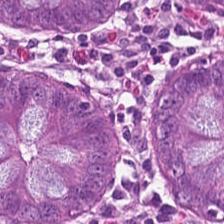Stain: H&E-stained tissue section.
Tissue: normal colon mucosa.
